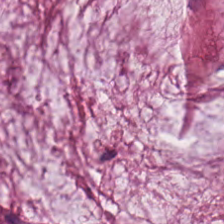Stain: H&E stain.
Tissue class: mucus.
